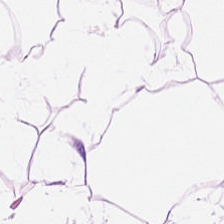0.5 microns per pixel. H&E-stained tissue section. Tissue = adipose.
